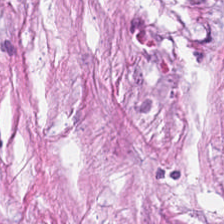H&E-stained tissue section; formalin-fixed paraffin-embedded section; 0.5 µm/px.
Impression → cancer-associated stroma.
